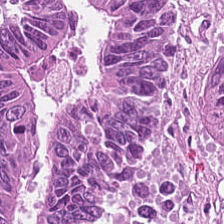{"tissue_type": "colorectal adenocarcinoma epithelium"}
